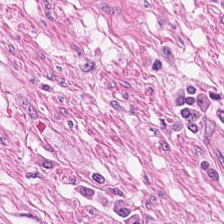Hematoxylin-and-eosin stained section. Predominantly smooth muscle.
